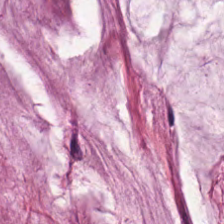H&E stain.
{"tissue_type": "extracellular mucin"}
